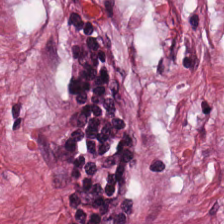0.5 µm/px; H&E stain — This patch shows tumor-associated stroma.
